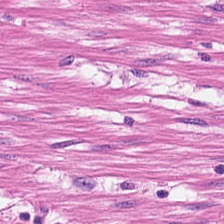Hematoxylin-and-eosin stained section — Histology — muscularis.
